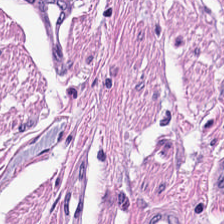Classification = muscularis.
